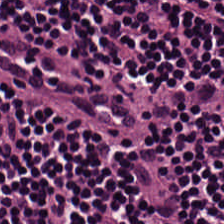224×224 pixel tile · H&E. Predominantly lymphocytes.
